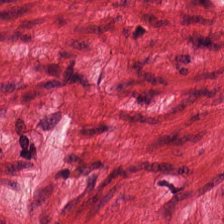Tissue class: smooth-muscle tissue.
